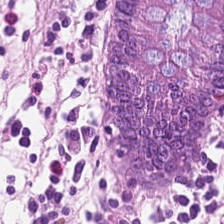H&E. 0.5 microns per pixel — Q: What is shown in this field?
A: It is non-neoplastic colon mucosa.
